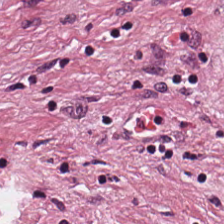The predominant tissue is cancer-associated stroma.
